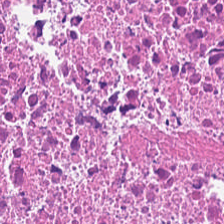Hematoxylin-and-eosin stained section.
Cellular debris.
